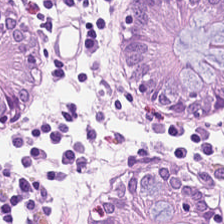Brightfield · hematoxylin and eosin.
Tissue: normal colonic mucosa.
